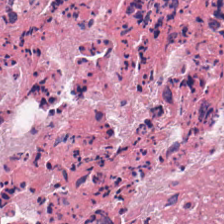H&E stain.
This patch shows necrotic debris.
